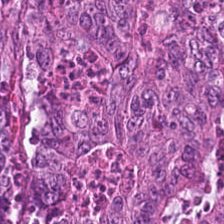Stain: hematoxylin-and-eosin stained section.
Preparation: formalin-fixed paraffin-embedded section.
Tile size: 224×224 px tile.
Tissue class: colorectal adenocarcinoma.
